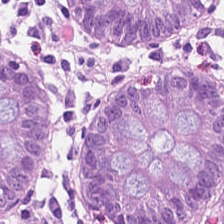This patch shows benign colonic mucosa.
